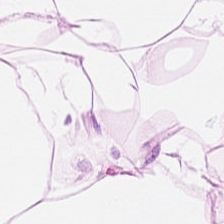H&E-stained tissue section. Predominant tissue: fat tissue.
